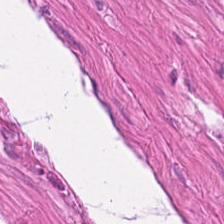The tissue here is smooth muscle.
